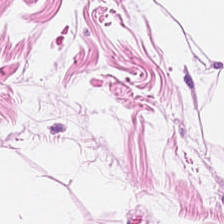Hematoxylin-and-eosin stained section.
The tissue is adipose tissue.
